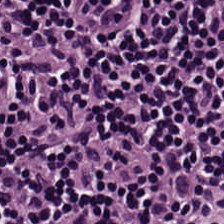H&E. Q: What tissue type is shown here?
A: The field shows lymphoid infiltrate.
